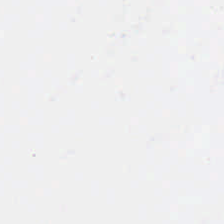224×224 pixel tile. Hematoxylin-and-eosin stained section. This field is background (no tissue).
